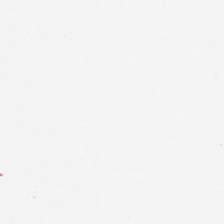Content = background (no tissue).
